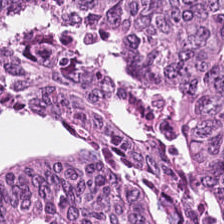H&E-stained tissue section.
Q: Classify this patch.
A: This is colorectal adenocarcinoma.
